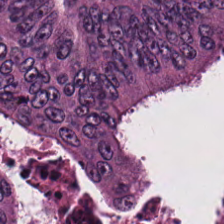Brightfield. H&E. Tissue class = colorectal adenocarcinoma.
